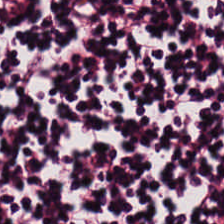Whole-slide-image patch; H&E. The predominant tissue is lymphocyte aggregate.
